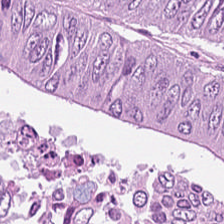The predominant tissue is colorectal adenocarcinoma epithelium.
